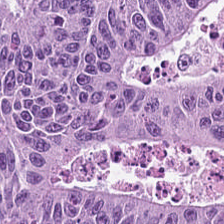Impression — malignant epithelium.
